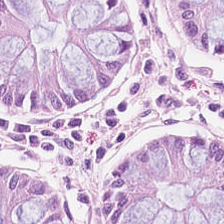Hematoxylin and eosin — Classification = normal colonic mucosa.
